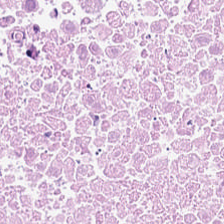Hematoxylin-and-eosin stained section — Q: Classify this patch.
A: It is cellular debris.
